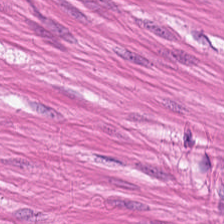0.5 µm/px. Formalin-fixed paraffin-embedded section. H&E-stained tissue section — Classification = muscularis.
